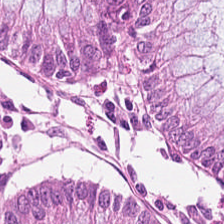Hematoxylin-and-eosin stained section.
Tissue — normal colonic mucosa.
